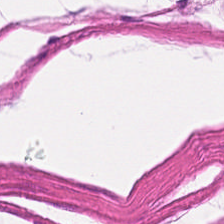20× equivalent magnification. H&E-stained tissue section — Smooth muscle.
